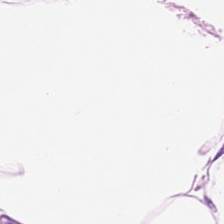Hematoxylin-and-eosin stained section. Formalin-fixed paraffin-embedded section. 0.5 µm/px.
Predominantly fat tissue.
